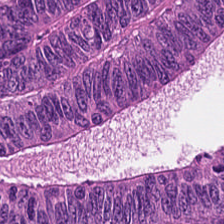Stain: hematoxylin-and-eosin stained section.
Tissue: adenocarcinoma.
